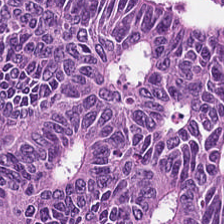H&E. 224×224 pixel tile. Brightfield microscopy.
Impression → malignant epithelium.
